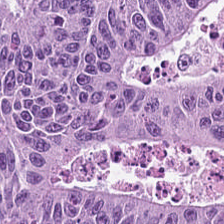Stain: hematoxylin-and-eosin stained section.
Predominant tissue: colorectal adenocarcinoma.
